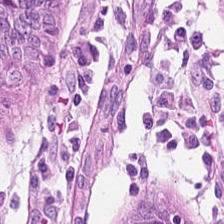Brightfield microscopy; hematoxylin and eosin. The predominant tissue is normal colonic mucosa.
